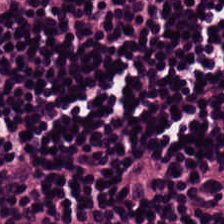0.5 µm/px; H&E-stained tissue section. Tissue type = lymphocyte aggregate.
